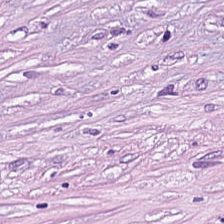Q: What type of tissue is this?
A: The field shows tumor-associated stroma.
